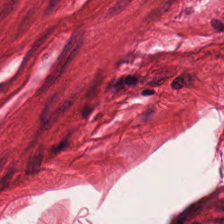H&E-stained tissue section. 0.5 µm per pixel. Brightfield.
Classification = smooth-muscle tissue.
